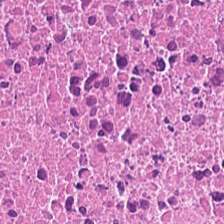Impression — necrotic debris.
